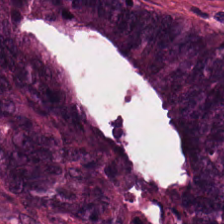Tissue: adenocarcinoma.
